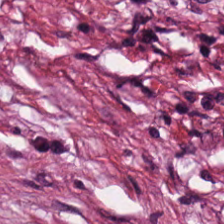FFPE. 20× equivalent magnification. Hematoxylin-and-eosin stained section. Desmoplastic stroma.
